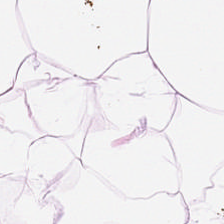Stain: H&E-stained tissue section.
Tissue class: adipocytes.
